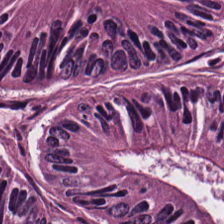H&E stain. Tissue class = colorectal adenocarcinoma.
